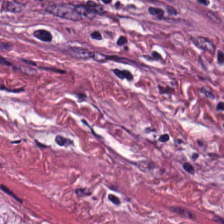The tissue is tumor stroma.
